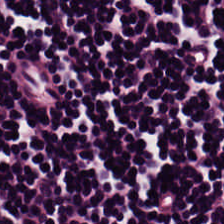The predominant tissue is lymphoid infiltrate.
